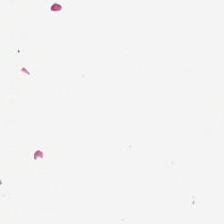H&E stain.
Content = background.
